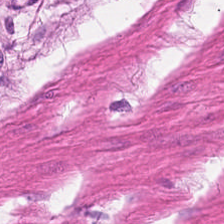Hematoxylin and eosin.
This patch shows muscularis.
